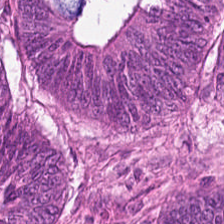H&E · 224×224 px tile.
The predominant tissue is malignant epithelium.
